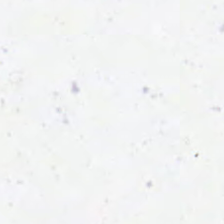Finding → background (no tissue).
